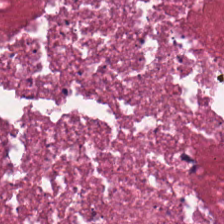H&E stain.
This patch shows cellular debris.
